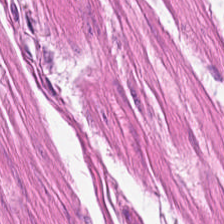Stain: hematoxylin and eosin.
Predominant tissue: muscularis.
